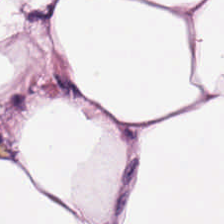The tissue class is adipocytes.
